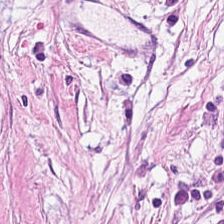Hematoxylin and eosin · 0.5 µm/px.
Classification = cancer-associated stroma.
